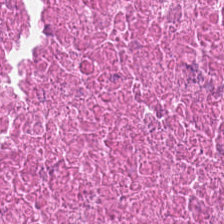H&E-stained tissue section — Q: Identify the tissue.
A: The field shows necrotic debris.
